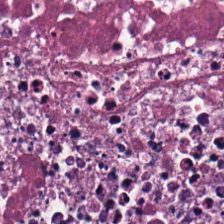H&E. Predominantly cellular debris.
